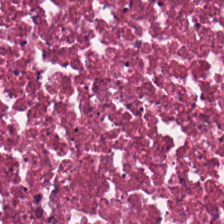0.5 µm/px; H&E; 224×224 pixel tile.
Impression → debris.
